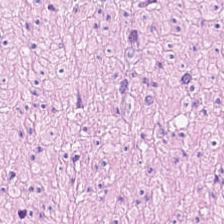H&E — Q: Classify this patch.
A: This is muscularis.
